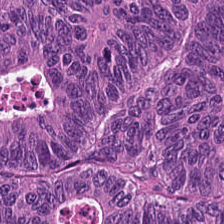The tissue here is tumor epithelium.
